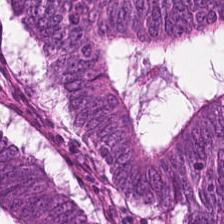Stain: hematoxylin-and-eosin stained section.
Predominant tissue: tumor epithelium.
